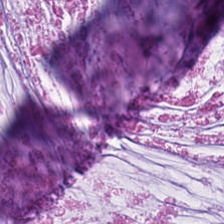{"tissue_type": "mucus"}
